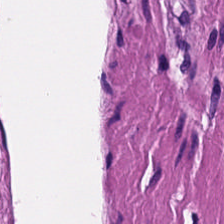Tissue: smooth muscle.
